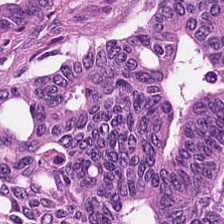Hematoxylin and eosin.
The tissue is adenocarcinoma.
